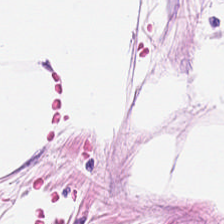Q: Identify the tissue.
A: Adipose tissue.
